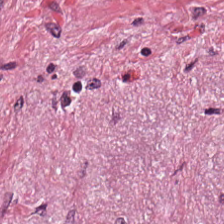Impression — tumor stroma.
